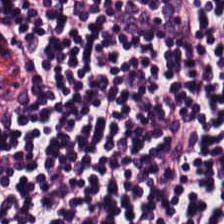20× equivalent magnification; H&E-stained tissue section; FFPE. {"tissue_type": "lymphocyte aggregate"}
